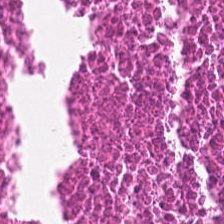224×224 px tile. Hematoxylin-and-eosin stained section. Formalin-fixed paraffin-embedded section — Predominantly necrotic debris.
